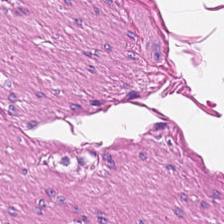H&E. {"tissue_type": "muscularis"}
